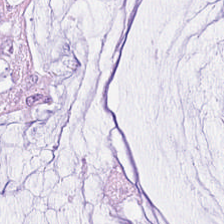Tissue type: mucus.
